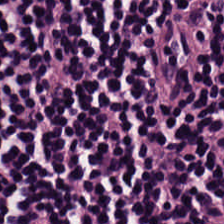20× equivalent magnification; hematoxylin-and-eosin stained section. Q: What is shown in this field?
A: This is lymphocytic infiltrate.
